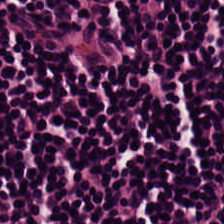Whole-slide-image patch; 0.5 µm per pixel; hematoxylin and eosin.
Classification: lymphocytes.
